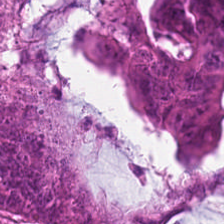H&E. Q: What type of tissue is this?
A: It is tumor epithelium.
